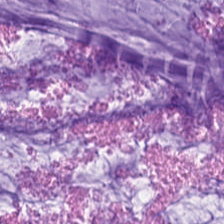This patch shows mucus.
